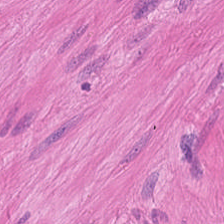H&E. 224×224 px tile. Formalin-fixed paraffin-embedded section.
Impression → smooth-muscle tissue.
